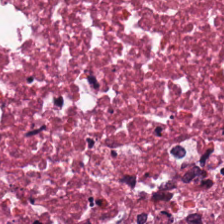224×224 px patch · hematoxylin and eosin — Finding — debris.
